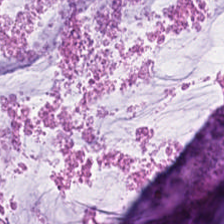Stain: H&E stain.
Acquisition: whole-slide-image patch.
Tissue: mucus.
